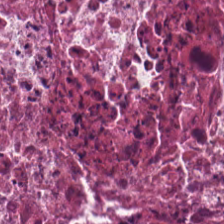Hematoxylin and eosin.
Q: What type of tissue is this?
A: Cellular debris.
